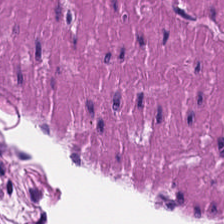Hematoxylin-and-eosin section: muscularis.
